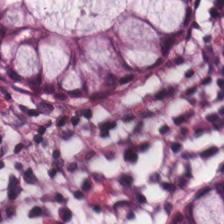Formalin-fixed paraffin-embedded section · hematoxylin-and-eosin stained section. This field is normal colon mucosa.
